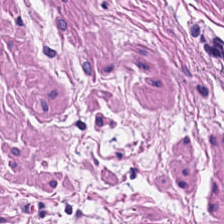Hematoxylin-and-eosin stained section. Tissue type = smooth-muscle tissue.
